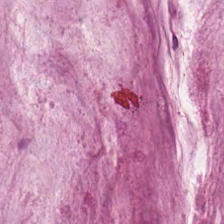H&E stain — Q: What does this patch show?
A: Extracellular mucin.
